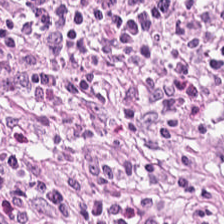H&E stain · formalin-fixed paraffin-embedded section · WSI patch — {"tissue_type": "cancer-associated stroma"}
